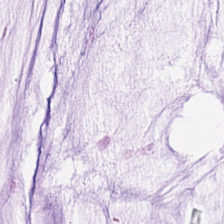H&E. Finding — mucus.
